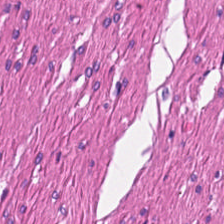Hematoxylin-and-eosin stained section.
Histology → smooth-muscle tissue.
